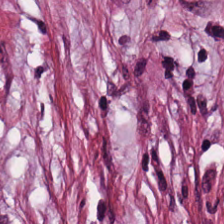Stain: hematoxylin and eosin.
Tile size: 224×224 px patch.
Tissue: tumor stroma.
